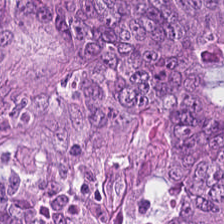Hematoxylin and eosin — Finding → colorectal adenocarcinoma.
